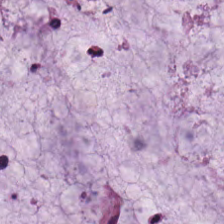H&E-stained tissue section — Tissue type — extracellular mucin.
